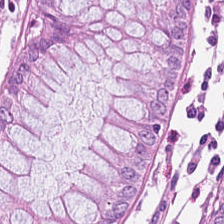Brightfield · H&E-stained tissue section.
Histology → non-neoplastic colon mucosa.
